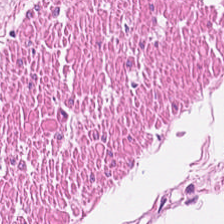FFPE · brightfield microscopy · hematoxylin and eosin — Tissue class = smooth muscle.
